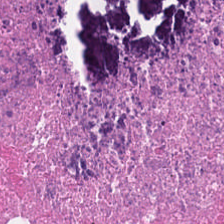Hematoxylin-and-eosin stained section. FFPE tissue section. The predominant tissue is necrotic debris.
